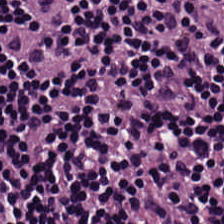Hematoxylin-and-eosin stained section.
Q: Classify this patch.
A: This is lymphoid infiltrate.
